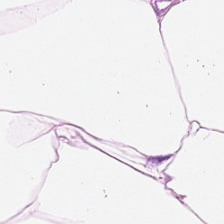Fat tissue.
